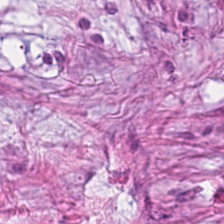H&E — {"tissue_type": "cancer-associated stroma"}
